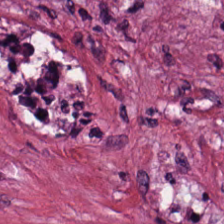H&E stain. WSI patch. 0.5 microns per pixel — Predominantly tumor-associated stroma.
